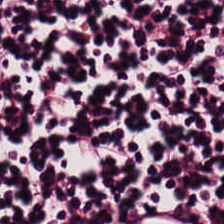0.5 microns per pixel; FFPE tissue section; hematoxylin and eosin — Lymphocyte aggregate.
